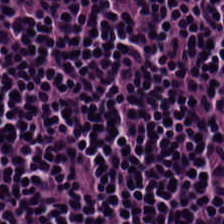224×224 pixel tile. FFPE. Hematoxylin-and-eosin stained section. Tissue: lymphocytes.
